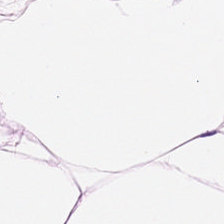H&E stain; FFPE tissue section — The predominant tissue is adipose.
